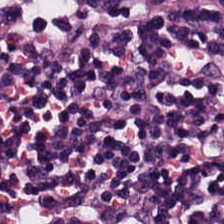224×224 px tile. H&E.
Tissue type = lymphocytic infiltrate.
